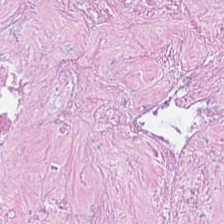Stain: H&E-stained tissue section.
Tile size: 224×224 px tile.
Classification: necrotic debris.
